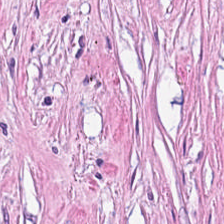Histology — desmoplastic stroma.
